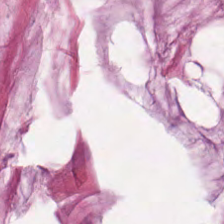H&E patch showing mucus.
